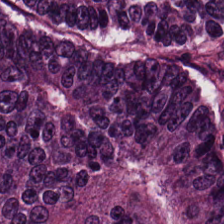H&E. This patch shows colorectal adenocarcinoma epithelium.
